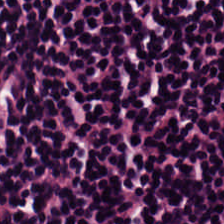H&E-stained tissue section. Brightfield. {"tissue_type": "lymphocytic infiltrate"}
